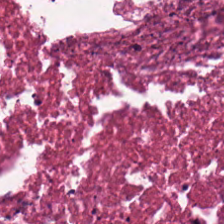H&E patch showing cellular debris.
